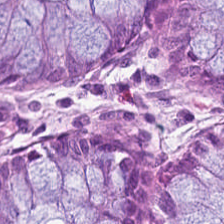Hematoxylin-and-eosin stained section.
{"tissue_type": "benign colonic mucosa"}
